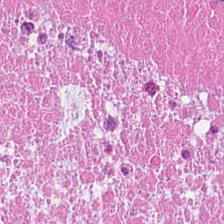Hematoxylin and eosin.
This patch shows cellular debris.
